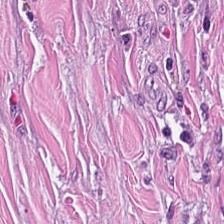224×224 pixel tile. Whole-slide-image patch. H&E-stained tissue section.
Tissue type — tumor-associated stroma.
